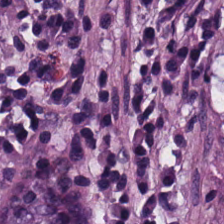H&E-stained tissue section — Tissue class: normal colonic mucosa.
